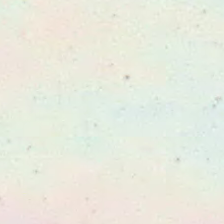Stain: H&E-stained tissue section.
Tile size: 224×224 px tile.
Content: background (no tissue).
